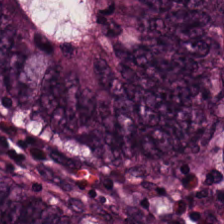Hematoxylin-and-eosin stained section · 0.5 µm/px · formalin-fixed paraffin-embedded section — The predominant tissue is adenocarcinoma.
